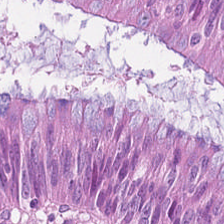H&E stain. Q: What is shown in this field?
A: Colorectal adenocarcinoma epithelium.
